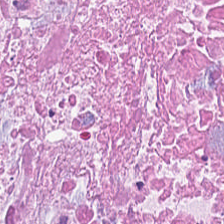H&E-stained tissue section.
This patch shows debris.
